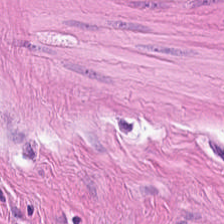Stain: H&E stain.
Tissue type: smooth-muscle tissue.
